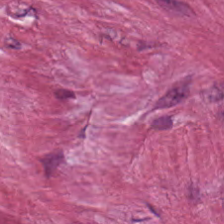H&E stain — Q: What does this patch show?
A: It is desmoplastic stroma.
